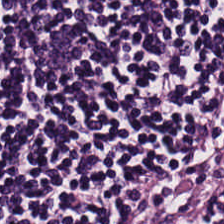H&E-stained tissue section — This field is lymphocyte aggregate.
